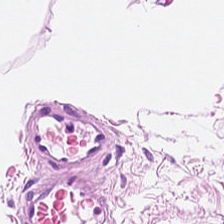Hematoxylin-and-eosin stained section. FFPE tissue section.
The predominant tissue is adipocytes.
